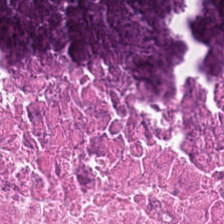224×224 pixel tile; hematoxylin-and-eosin stained section; brightfield microscopy.
{"tissue_type": "necrotic debris"}
